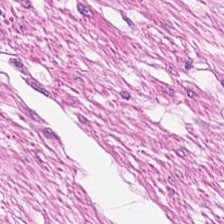H&E stain · 224×224 pixel tile.
Tissue type = smooth-muscle tissue.
